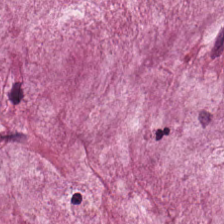Showing mucus.
